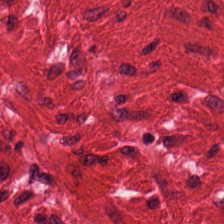H&E stain. WSI patch — The predominant tissue is smooth muscle.
